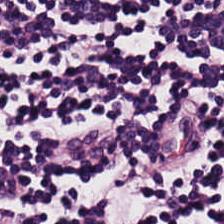Hematoxylin-and-eosin stained section · 224×224 pixel tile — Classification = lymphocytes.
